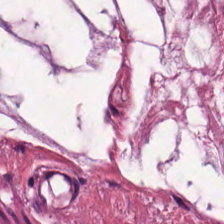Finding — mucus.
